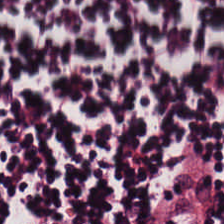Formalin-fixed paraffin-embedded section · hematoxylin and eosin — The tissue type is lymphocytic infiltrate.
